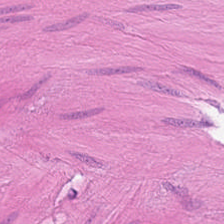0.5 µm per pixel. H&E-stained tissue section — This field is smooth muscle.
